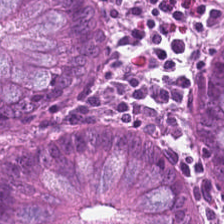0.5 microns per pixel. 224×224 px patch. H&E.
Predominantly normal colonic mucosa.
